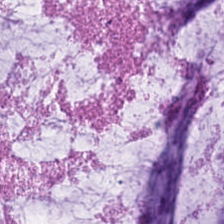Hematoxylin and eosin. Predominantly mucus.
